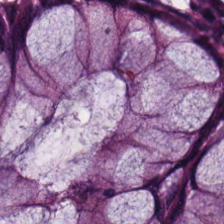FFPE. H&E. 224×224 pixel tile.
This patch shows benign colonic mucosa.
